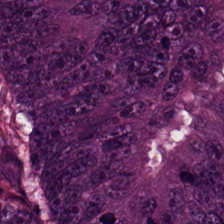WSI patch. H&E-stained tissue section. 0.5 µm/px — Showing colorectal adenocarcinoma epithelium.
